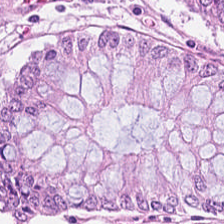Hematoxylin-and-eosin stained section. Showing normal colonic mucosa.
